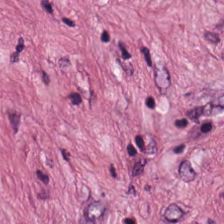H&E — Q: What type of tissue is this?
A: This is cancer-associated stroma.
